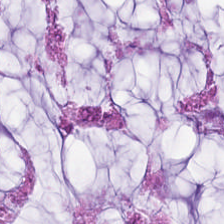Hematoxylin-and-eosin stained section. Mucus.
